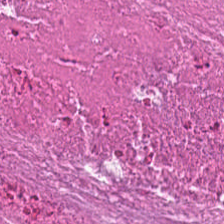Finding — debris.
